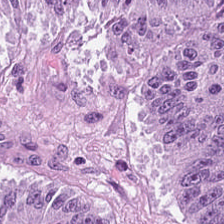Hematoxylin and eosin · 0.5 µm/px · brightfield.
Histology — colorectal adenocarcinoma epithelium.
